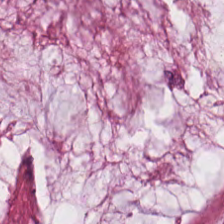Finding → mucus.
